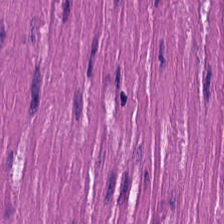H&E-stained tissue section.
Showing smooth-muscle tissue.
